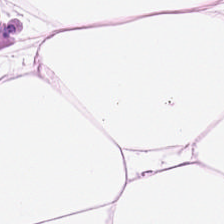Hematoxylin-and-eosin stained section.
The predominant tissue is adipocytes.
